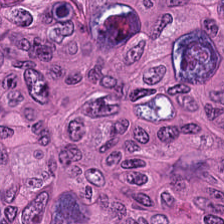224×224 px patch. H&E. Whole-slide-image patch — The predominant tissue is colorectal adenocarcinoma epithelium.
